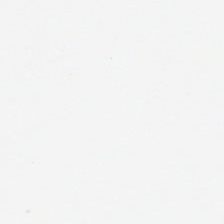FFPE · hematoxylin and eosin.
Classification = background (no tissue).
